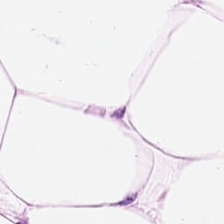H&E-stained tissue section. Q: What type of tissue is this?
A: Adipose tissue.
